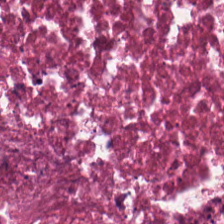224×224 px tile. H&E stain — This patch shows necrotic debris.
